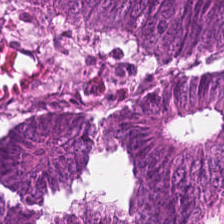H&E.
Q: What is shown in this field?
A: Colorectal adenocarcinoma.
